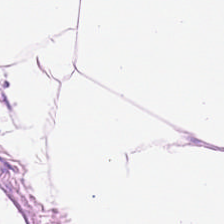H&E-stained tissue section.
Tissue class = fat tissue.
